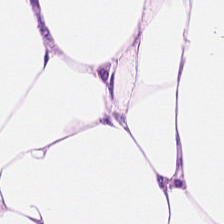H&E-stained tissue section; 0.5 µm per pixel — Finding → adipocytes.
